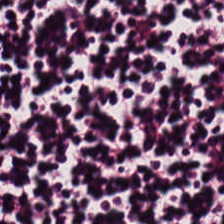Hematoxylin and eosin — Lymphocytic infiltrate.
